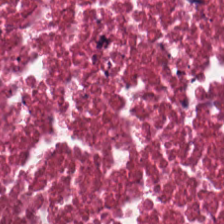Hematoxylin and eosin — {"tissue_type": "necrotic debris"}
